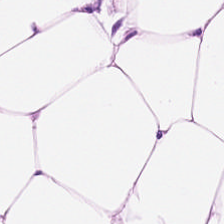224×224 pixel tile · H&E-stained tissue section · brightfield. Q: What is shown here?
A: This is adipose.
